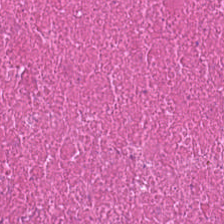Hematoxylin and eosin — Q: What type of tissue is this?
A: The field shows cellular debris.
